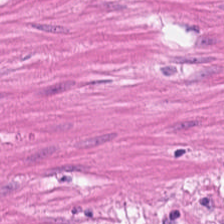Hematoxylin and eosin. Tissue — smooth-muscle tissue.
